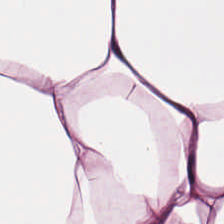224×224 px patch; H&E; 0.5 microns per pixel. This patch shows fat tissue.
